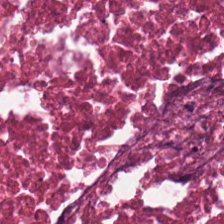Stain: hematoxylin-and-eosin stained section.
Predominant tissue: debris.
